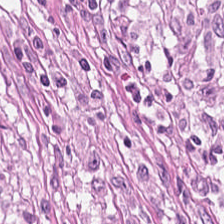H&E stain; 224×224 px tile.
Tissue = tumor-associated stroma.
